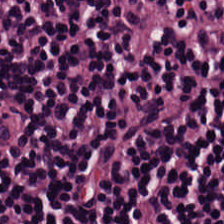Hematoxylin-and-eosin stained section.
Predominantly lymphocytic infiltrate.
